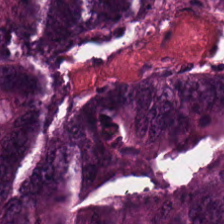Stain: H&E-stained tissue section.
Predominant tissue: colorectal adenocarcinoma.
